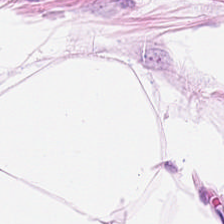Whole-slide-image patch · 0.5 µm per pixel · H&E stain.
The predominant tissue is adipose.
